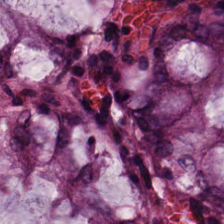H&E-stained tissue section.
The tissue here is normal colonic mucosa.
